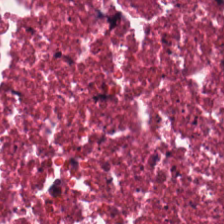0.5 µm per pixel. Brightfield. H&E. The classification is necrotic debris.
